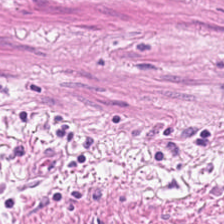H&E-stained tissue section showing muscularis.
